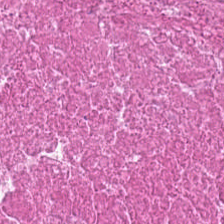Hematoxylin and eosin — This field is debris.
